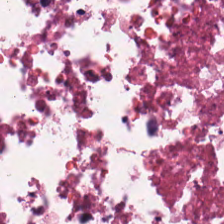224×224 pixel tile. 0.5 µm/px. H&E-stained tissue section.
Q: What type of tissue is this?
A: This is necrotic debris.
